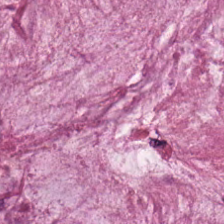Q: What tissue type is shown here?
A: Mucin.
